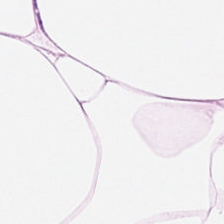Stain: hematoxylin-and-eosin stained section.
Resolution: 0.5 µm per pixel.
Tissue type: adipose tissue.
